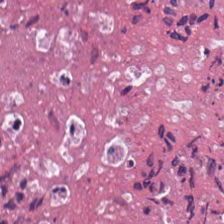Stain: H&E.
Tissue type: necrotic debris.
